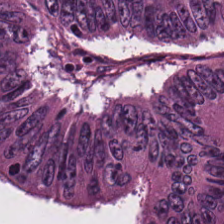Hematoxylin and eosin · 224×224 pixel tile.
Q: What does this patch show?
A: Tumor epithelium.
